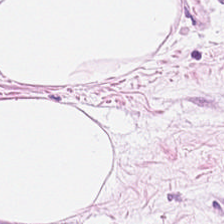FFPE. H&E stain. Q: What is shown in this field?
A: Adipocytes.
